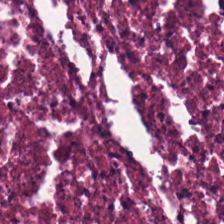H&E; FFPE tissue section.
Histology — cellular debris.
